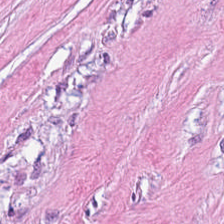This patch shows desmoplastic stroma.
